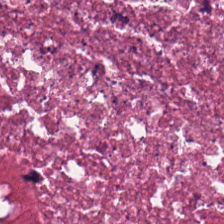Impression → cellular debris.
